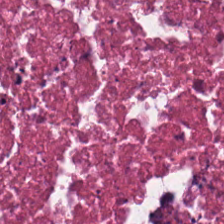Stain: H&E stain.
Tissue type: debris.
